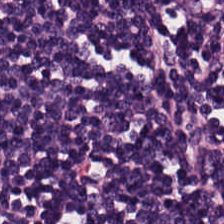224×224 px patch · H&E stain — {"tissue_type": "lymphocyte aggregate"}
